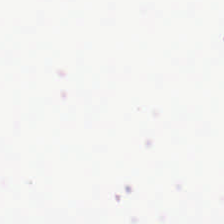Stain: H&E-stained tissue section.
Content: background.
